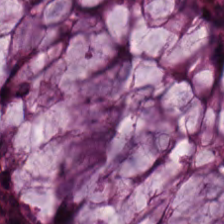H&E stain · FFPE — The tissue here is benign colonic mucosa.
